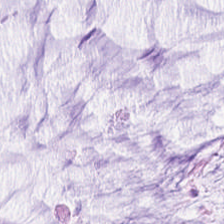Hematoxylin and eosin.
{"tissue_type": "extracellular mucin"}
